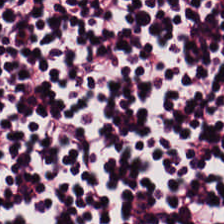Hematoxylin-and-eosin stained section; FFPE tissue section; whole-slide-image patch — The tissue class is lymphocytes.
